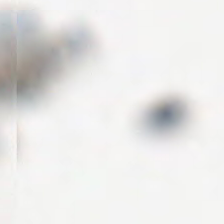Hematoxylin and eosin.
Field content = background (no tissue).
